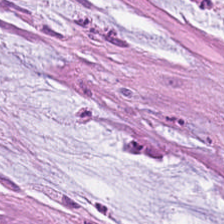Hematoxylin and eosin — Impression — mucus.
